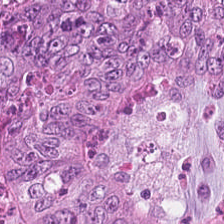The tissue is adenocarcinoma.
